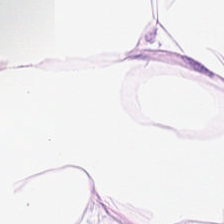0.5 microns per pixel. FFPE. Hematoxylin-and-eosin stained section — Predominant tissue: fat tissue.
